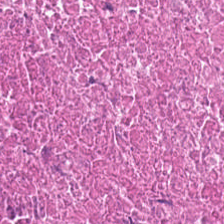Hematoxylin-and-eosin stained section. Tissue type: debris.
